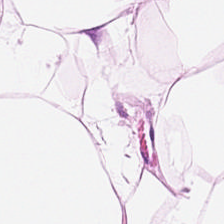H&E.
Classification — adipose.
